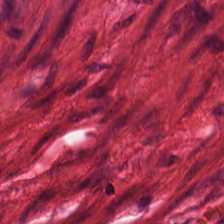Formalin-fixed paraffin-embedded section; hematoxylin and eosin; brightfield microscopy. Predominantly smooth-muscle tissue.
